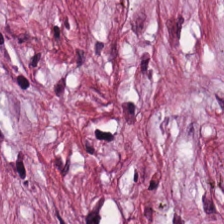Hematoxylin and eosin. 224×224 pixel tile — This patch shows tumor stroma.
